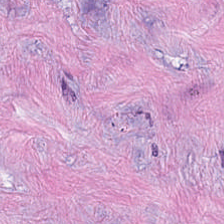Hematoxylin and eosin.
Predominant tissue: desmoplastic stroma.
